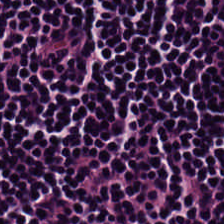H&E.
Tissue type: lymphocyte aggregate.
